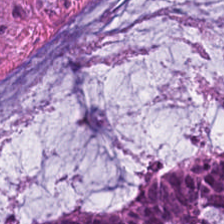H&E-stained tissue section.
Tissue = mucin.
